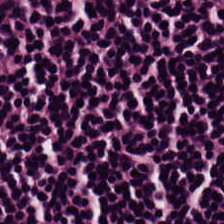H&E. Predominantly lymphocytic infiltrate.
